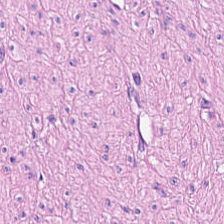H&E stain. {"tissue_type": "smooth muscle"}
